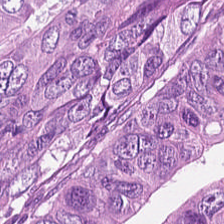H&E stain — Predominantly adenocarcinoma.
